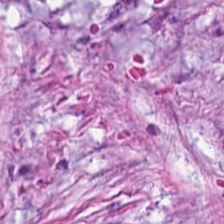H&E stain.
Finding — cancer-associated stroma.
